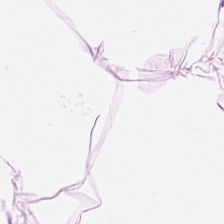Q: What does this patch show?
A: The field shows adipose tissue.
